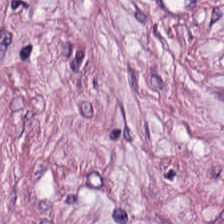Hematoxylin-and-eosin stained section · brightfield microscopy — Q: What tissue is shown?
A: The field shows desmoplastic stroma.
